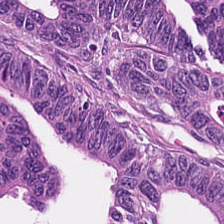Hematoxylin-and-eosin stained section. Colorectal adenocarcinoma epithelium.
